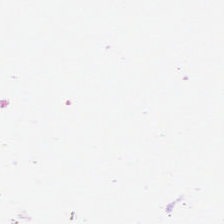FFPE · hematoxylin and eosin · 20× equivalent magnification. Histology — background (no tissue).
